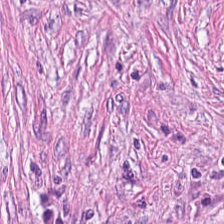FFPE tissue section · H&E · 224×224 pixel tile. Classification: cancer-associated stroma.
